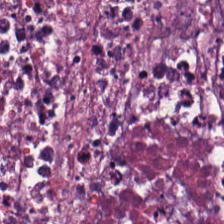Hematoxylin and eosin.
Showing debris.
